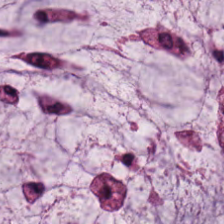Stain: H&E-stained tissue section.
Predominant tissue: mucin.
